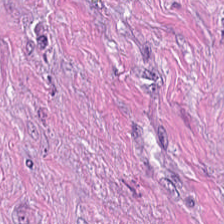Hematoxylin and eosin.
Histology — tumor-associated stroma.
